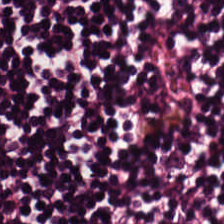Hematoxylin-and-eosin stained section.
Tissue type — lymphocytic infiltrate.
